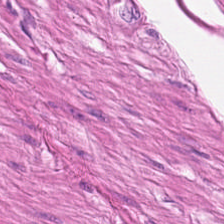H&E.
Predominant tissue = smooth-muscle tissue.
